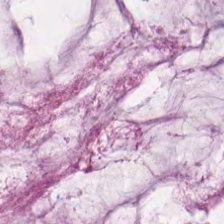The tissue here is mucus.
